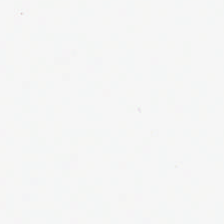Empty field — background.
